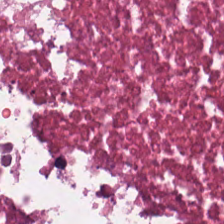H&E stain; FFPE; whole-slide-image patch.
The predominant tissue is debris.
